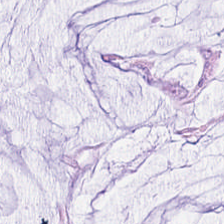224×224 px patch. H&E — Showing mucus.
